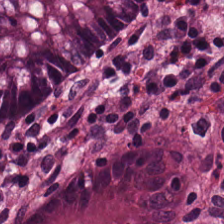Hematoxylin and eosin — This field is non-neoplastic colon mucosa.
